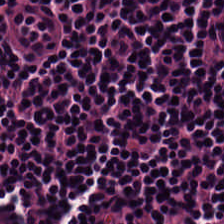H&E stain — The predominant tissue is lymphocytes.
